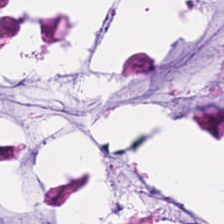Hematoxylin-and-eosin stained section. Q: What is the predominant tissue type?
A: It is colorectal adenocarcinoma epithelium.
